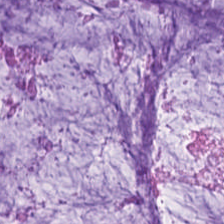Stain: H&E-stained tissue section.
Predominant tissue: mucin.
